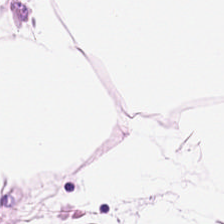Predominantly fat tissue.
